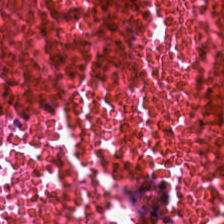Cellular debris.
